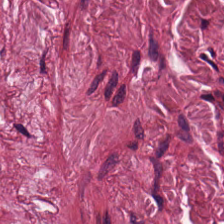Hematoxylin-and-eosin stained section. FFPE tissue section — Q: What tissue is shown?
A: Desmoplastic stroma.
